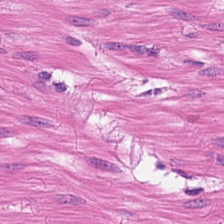H&E · WSI patch.
The predominant tissue is smooth muscle.
